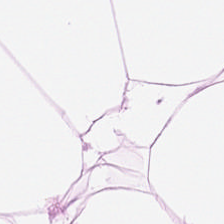H&E stain — Q: Classify this patch.
A: The field shows fat tissue.
